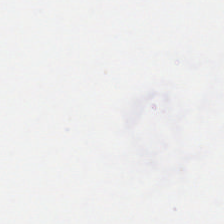Formalin-fixed paraffin-embedded section · hematoxylin and eosin — This patch shows no tissue.
